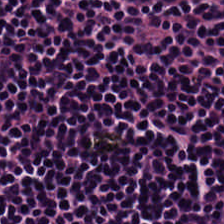Hematoxylin and eosin. WSI patch — Predominantly lymphocytes.
